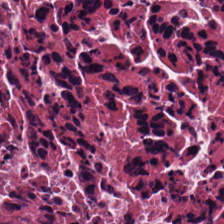Brightfield; H&E stain — Debris.
